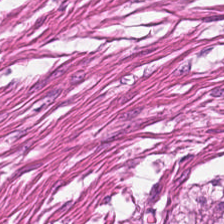Formalin-fixed paraffin-embedded section; H&E-stained tissue section.
Tissue = smooth-muscle tissue.
